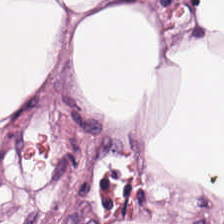Brightfield microscopy. Hematoxylin and eosin. Predominantly adipose.
